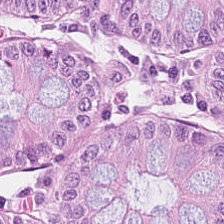Stain: H&E-stained tissue section.
Classification: normal colon mucosa.
